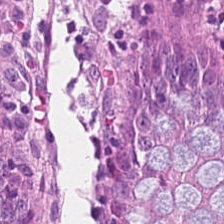Hematoxylin and eosin. FFPE.
Finding — non-neoplastic colon mucosa.
